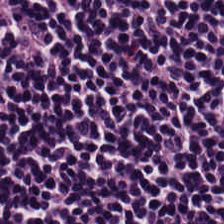FFPE · H&E stain · whole-slide-image patch.
The tissue here is lymphocyte aggregate.
